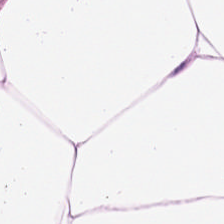Histology → adipose tissue.
